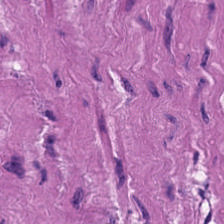H&E-stained tissue section showing smooth muscle.
